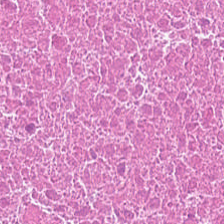H&E-stained tissue section — This field is cellular debris.
